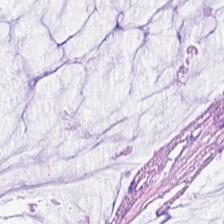Brightfield; H&E-stained tissue section. The tissue is extracellular mucin.
